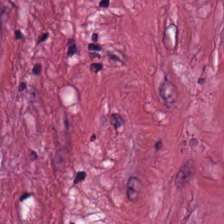H&E stain. The predominant tissue is tumor-associated stroma.
